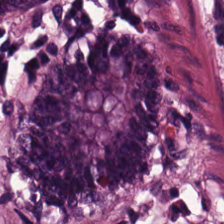Predominantly non-neoplastic colon mucosa.
